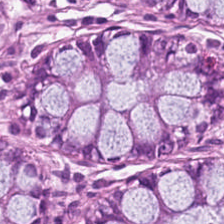H&E patch showing benign colonic mucosa.
